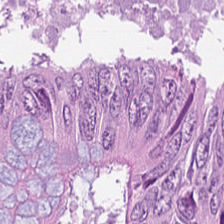0.5 µm per pixel; H&E stain — Colorectal adenocarcinoma.
